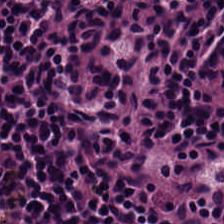H&E-stained tissue section; 224×224 px patch. Predominantly lymphocytes.
